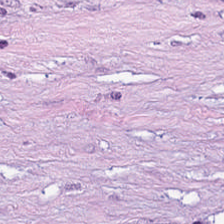Hematoxylin and eosin · 0.5 microns per pixel — The tissue class is tumor stroma.
